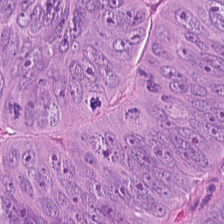Q: What tissue is shown?
A: This is colorectal adenocarcinoma.
